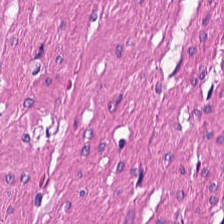Formalin-fixed paraffin-embedded section; H&E; 0.5 microns per pixel.
Q: What type of tissue is this?
A: It is muscularis.
